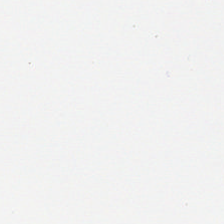This patch shows background.
